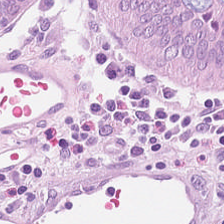H&E-stained tissue section. 224×224 px tile.
Tissue: benign colonic mucosa.
